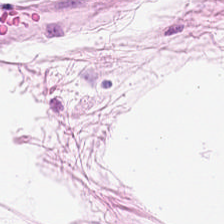H&E — The classification is fat tissue.
